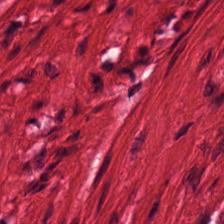Stain: H&E.
Predominant tissue: smooth-muscle tissue.
